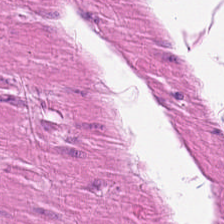Tissue: smooth muscle.
